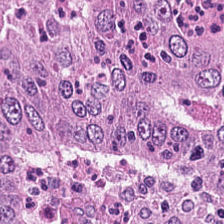Whole-slide-image patch. H&E stain — Histology — adenocarcinoma.
